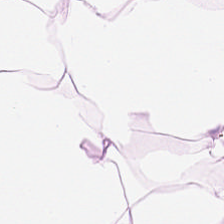Hematoxylin-and-eosin stained section; brightfield microscopy — Q: What is shown in this field?
A: The field shows adipocytes.
